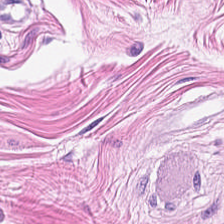224×224 pixel tile; H&E-stained tissue section; 0.5 µm per pixel. Q: What is shown here?
A: It is muscularis.
